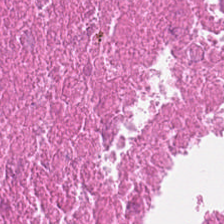Histology → debris.
